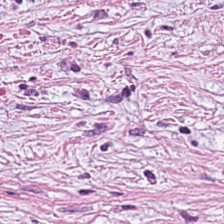This field is tumor stroma.
